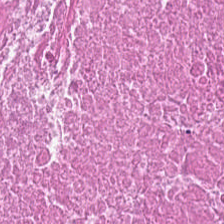224×224 px tile · hematoxylin and eosin · whole-slide-image patch. Predominantly necrotic debris.
